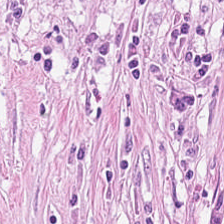0.5 µm/px. H&E stain.
Q: What tissue type is shown here?
A: The field shows tumor stroma.
